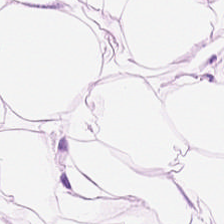Q: Identify the tissue.
A: The field shows adipose tissue.
